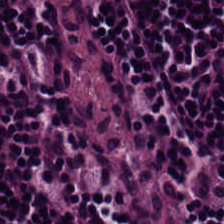Predominant tissue — lymphocytic infiltrate.
